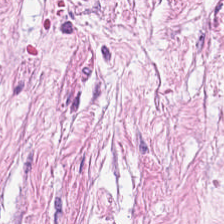H&E-stained tissue section. 0.5 microns per pixel. Tumor stroma.
